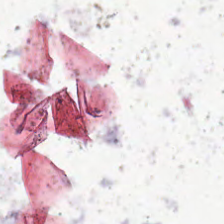Brightfield microscopy; 0.5 µm/px; hematoxylin-and-eosin stained section. Classification: background.
